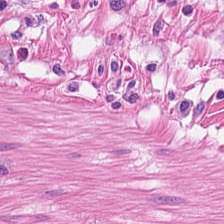The tissue here is smooth muscle.
